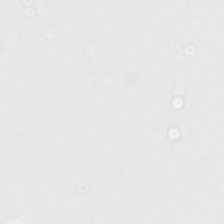H&E — This patch shows background (no tissue).
